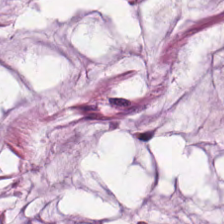H&E; formalin-fixed paraffin-embedded section — Q: What is shown here?
A: Mucin.
